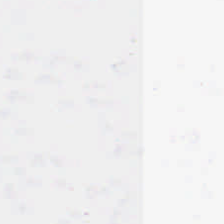H&E-stained tissue section. FFPE tissue section.
Classification = background.
